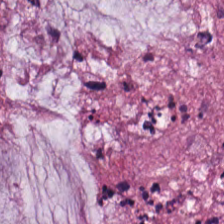Stain: hematoxylin-and-eosin stained section.
Tile size: 224×224 pixel tile.
Tissue: mucin.
